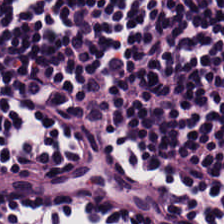H&E-stained tissue section.
Q: What is shown in this field?
A: Lymphocytes.
